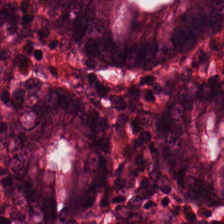H&E — The predominant tissue is normal colon mucosa.
